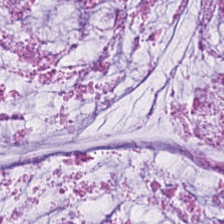Predominant tissue: mucin.
